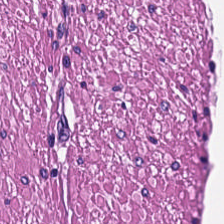Hematoxylin and eosin.
Showing smooth muscle.
